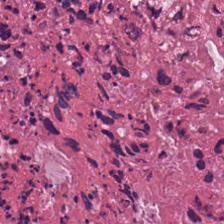Hematoxylin and eosin. This patch shows debris.
